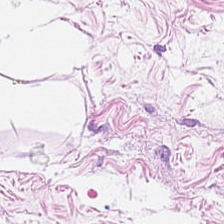Hematoxylin-and-eosin stained section — Q: What tissue type is shown here?
A: The field shows fat tissue.
